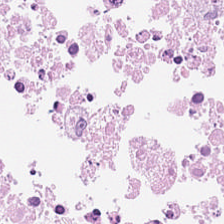0.5 µm/px. FFPE. H&E-stained tissue section — This patch shows cellular debris.
